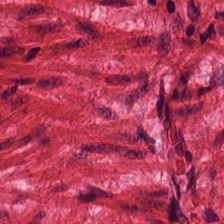H&E stain.
{"tissue_type": "smooth muscle"}
